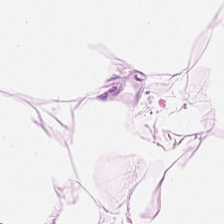Hematoxylin-and-eosin stained section. 0.5 µm per pixel. 224×224 pixel tile. Q: Classify this patch.
A: The field shows adipose.
